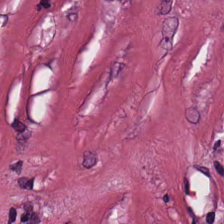Hematoxylin-and-eosin stained section; 224×224 px tile; brightfield microscopy — Predominant tissue: desmoplastic stroma.
